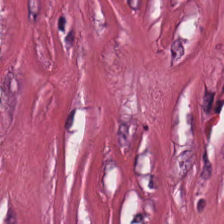H&E — Predominantly cancer-associated stroma.
